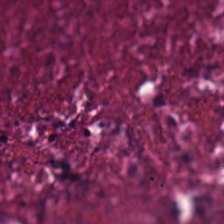Hematoxylin and eosin.
This field is cellular debris.
